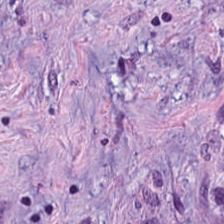H&E stain — {"tissue_type": "desmoplastic stroma"}
